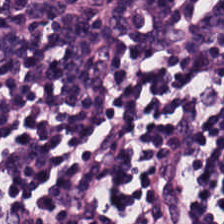Q: What is the predominant tissue type?
A: This is lymphocytic infiltrate.
